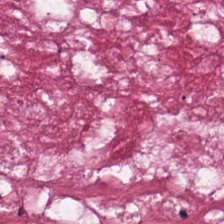Hematoxylin-and-eosin stained section. The predominant tissue is cancer-associated stroma.
